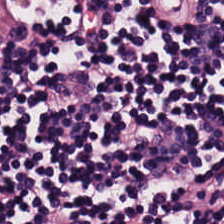H&E-stained tissue section; formalin-fixed paraffin-embedded section.
Showing lymphocyte aggregate.
